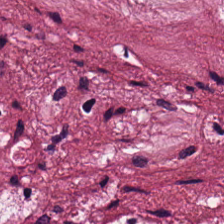The tissue class is tumor-associated stroma.
